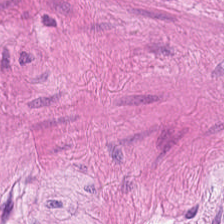FFPE; H&E-stained tissue section. The tissue class is muscularis.
